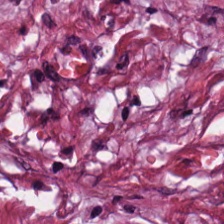FFPE tissue section. H&E. Showing desmoplastic stroma.
